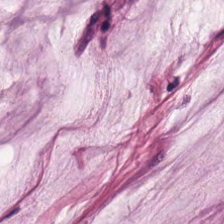20× equivalent magnification · hematoxylin-and-eosin stained section.
Showing extracellular mucin.
